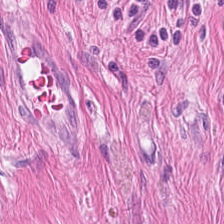Hematoxylin and eosin — Showing smooth muscle.
